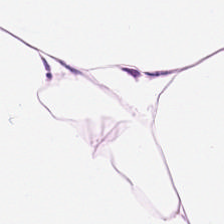Hematoxylin and eosin; brightfield microscopy — Q: What is the predominant tissue type?
A: Adipocytes.
